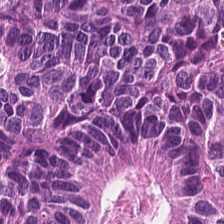This field is malignant epithelium.
